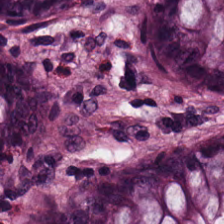Hematoxylin-and-eosin stained section.
The predominant tissue is benign colonic mucosa.
